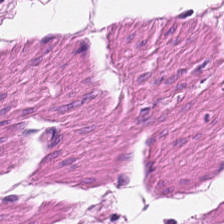Hematoxylin-and-eosin stained section · whole-slide-image patch. Predominant tissue — smooth muscle.
